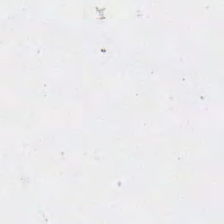Whole-slide-image patch; hematoxylin and eosin; 224×224 px tile. Content: background.
